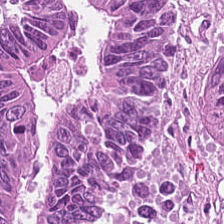Stain: H&E-stained tissue section.
Acquisition: whole-slide-image patch.
Preparation: formalin-fixed paraffin-embedded section.
Tissue: malignant epithelium.
